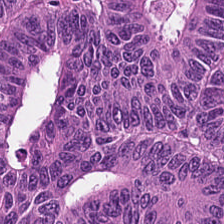Histology → colorectal adenocarcinoma epithelium.
